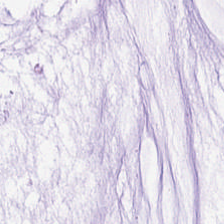Brightfield microscopy; hematoxylin and eosin; 0.5 µm per pixel — Tissue class = mucus.
